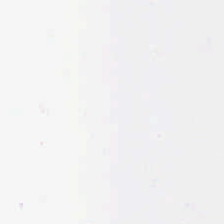Formalin-fixed paraffin-embedded section; H&E-stained tissue section; 224×224 px tile. The field content is no tissue.
